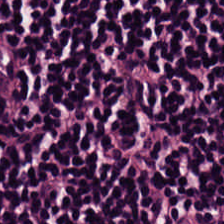H&E — Predominantly lymphoid infiltrate.
